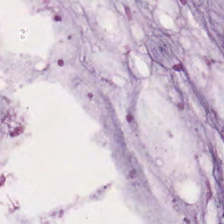H&E stain. Q: What is shown in this field?
A: It is mucin.
